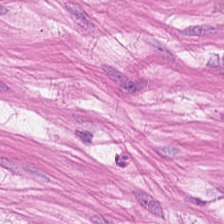The tissue type is smooth muscle.
